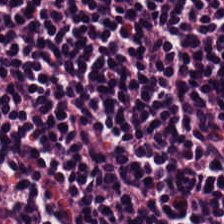The predominant tissue is lymphocyte aggregate.
